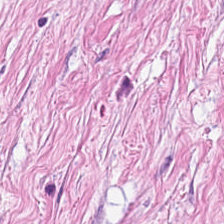Hematoxylin and eosin. Predominantly tumor-associated stroma.
